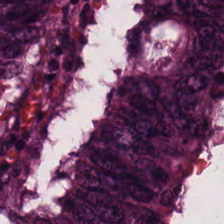H&E. The predominant tissue is colorectal adenocarcinoma epithelium.
